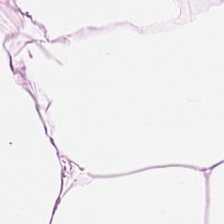Tissue class — adipose.
